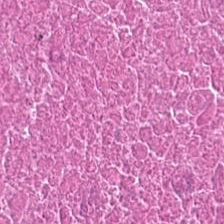Stain: H&E stain.
Classification: necrotic debris.
